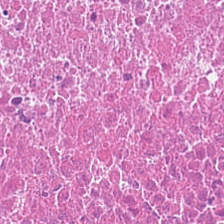Predominant tissue: necrotic debris.
